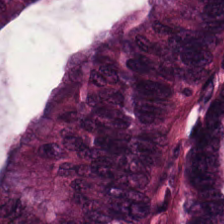{"tissue_type": "colorectal adenocarcinoma"}
